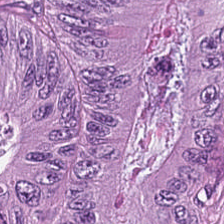The predominant tissue is colorectal adenocarcinoma epithelium.
